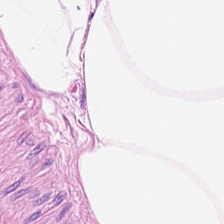Hematoxylin and eosin — Q: What does this patch show?
A: This is adipose tissue.
